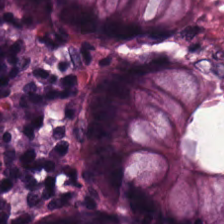Tissue type: normal colonic mucosa.
